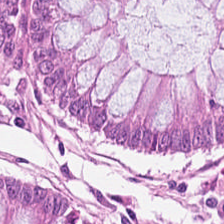Brightfield; H&E stain; 224×224 px tile. The predominant tissue is normal colon mucosa.
